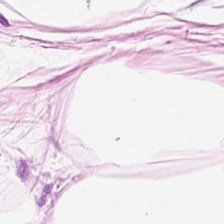The tissue type is adipocytes.
